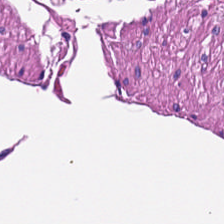Hematoxylin-and-eosin stained section. Q: What is the predominant tissue type?
A: It is smooth muscle.
